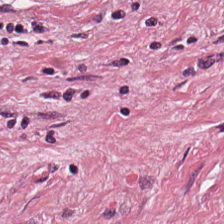The tissue is tumor stroma.
